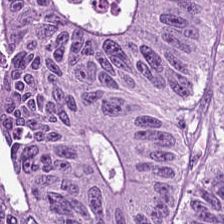The classification is colorectal adenocarcinoma.
